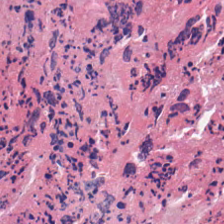Q: What does this patch show?
A: Debris.
